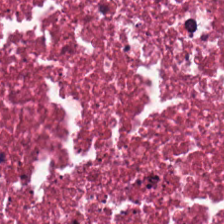Formalin-fixed paraffin-embedded section · hematoxylin-and-eosin stained section.
Impression → cellular debris.
